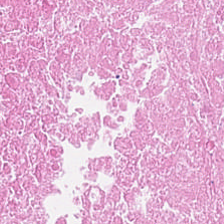H&E; whole-slide-image patch. Q: What is shown here?
A: This is cellular debris.
